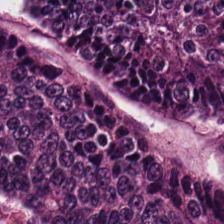H&E. Impression → colorectal adenocarcinoma epithelium.
